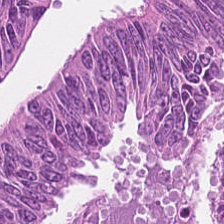The tissue class is malignant epithelium.
